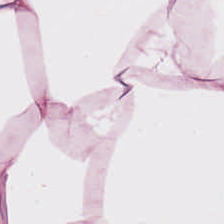H&E. This field is adipose tissue.
